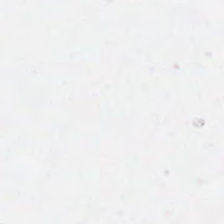The classification is no tissue.
